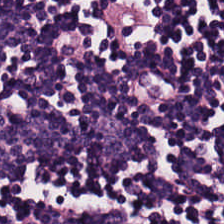Hematoxylin-and-eosin stained section; 20× equivalent magnification. Q: What is shown in this field?
A: Lymphocytic infiltrate.
